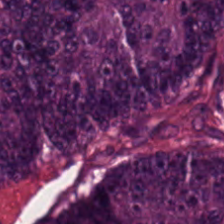H&E stain.
Q: What type of tissue is this?
A: Colorectal adenocarcinoma epithelium.
